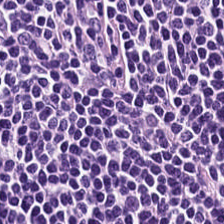Brightfield · hematoxylin-and-eosin stained section · 224×224 pixel tile — {"tissue_type": "lymphocyte aggregate"}
